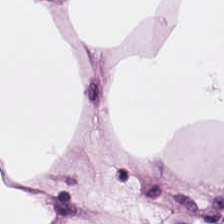Q: What is shown here?
A: Adipocytes.
